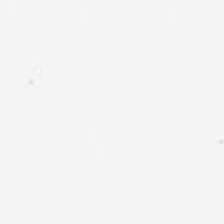H&E-stained tissue section.
Field content: background (no tissue).
